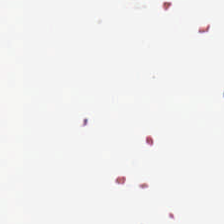H&E. No tissue present; background only.
